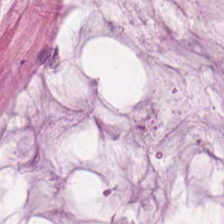Hematoxylin and eosin. 0.5 microns per pixel. The classification is mucin.
